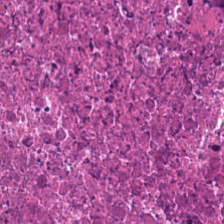Stain: H&E.
Tissue type: cellular debris.
